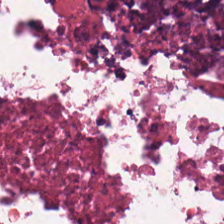H&E-stained tissue section.
Q: What is the predominant tissue type?
A: It is cellular debris.
